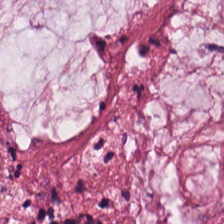The predominant tissue is extracellular mucin.
